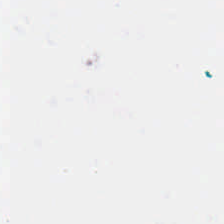Classification: empty background.
